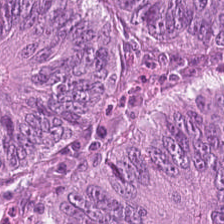Hematoxylin and eosin · 224×224 pixel tile.
Q: What is shown here?
A: The field shows colorectal adenocarcinoma.
